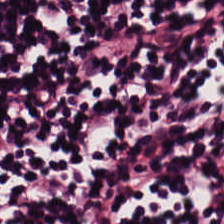H&E · FFPE tissue section — {"tissue_type": "lymphoid infiltrate"}
